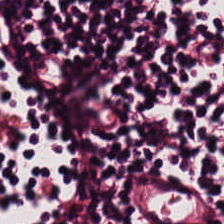H&E-stained tissue section. Whole-slide-image patch. Q: What is the predominant tissue type?
A: The field shows lymphocytic infiltrate.
